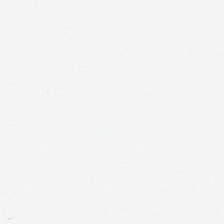H&E-stained tissue section; 224×224 pixel tile; WSI patch. This patch shows background.
